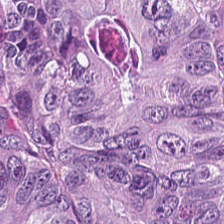Tissue type — malignant epithelium.
